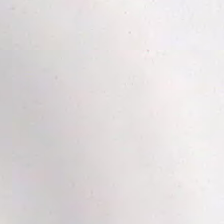Formalin-fixed paraffin-embedded section; 224×224 pixel tile; hematoxylin-and-eosin stained section — This patch shows background (no tissue).
